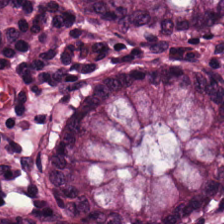The predominant tissue is non-neoplastic colon mucosa.
